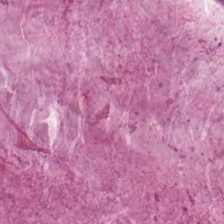H&E · 224×224 pixel tile · 0.5 µm per pixel.
Histology → mucus.
